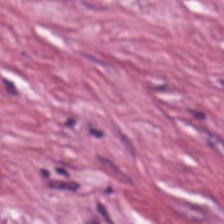224×224 pixel tile. Hematoxylin-and-eosin stained section. Whole-slide-image patch — Tissue type — tumor-associated stroma.
